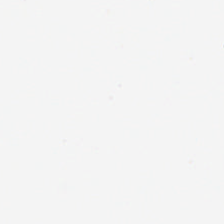H&E stain; 20× equivalent magnification — Field content = empty background.
